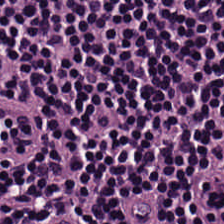0.5 microns per pixel · 224×224 px patch · H&E stain — Q: What tissue type is shown here?
A: Lymphocytes.
